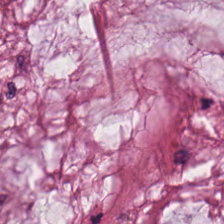0.5 microns per pixel; H&E; WSI patch.
This patch shows extracellular mucin.
